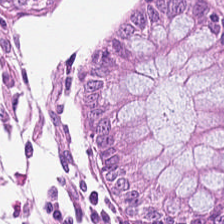Stain: H&E stain.
Tissue: normal colonic mucosa.
